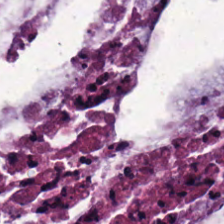H&E. Tissue — mucin.
